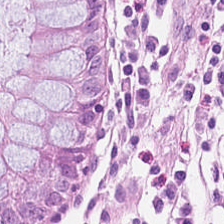H&E stain.
Tissue class — normal colonic mucosa.
